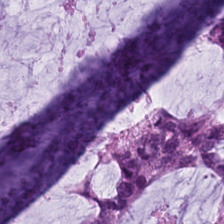Hematoxylin and eosin. Predominant tissue — extracellular mucin.
